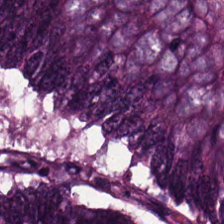Hematoxylin and eosin. The predominant tissue is malignant epithelium.
